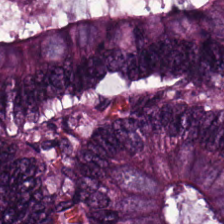Tissue class: tumor epithelium.
